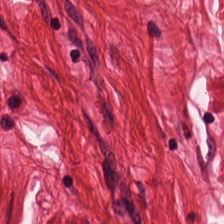Hematoxylin-and-eosin stained section. WSI patch.
The tissue type is muscularis.
